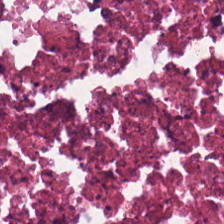Formalin-fixed paraffin-embedded section; brightfield; H&E. Tissue type: cellular debris.
